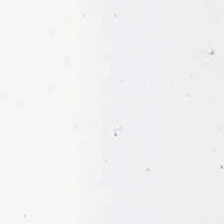H&E stain · brightfield — Q: Classify this patch.
A: The field shows background (no tissue).
